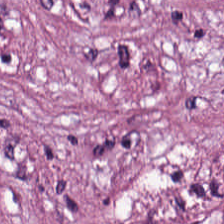Hematoxylin-and-eosin stained section. Q: What does this patch show?
A: It is tumor stroma.
